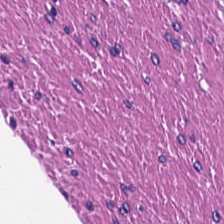Histology → smooth-muscle tissue.
